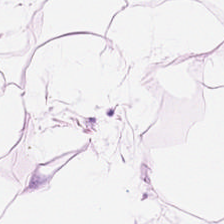0.5 microns per pixel; H&E-stained tissue section.
This field is adipose.
